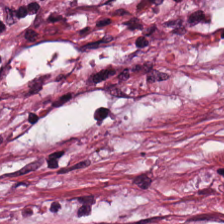Predominantly cancer-associated stroma.
